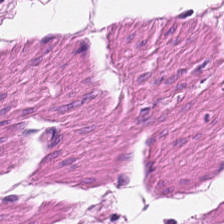Hematoxylin and eosin. Predominant tissue: muscularis.
